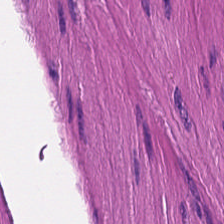Whole-slide-image patch; 20× equivalent magnification; hematoxylin-and-eosin stained section. This field is muscularis.
